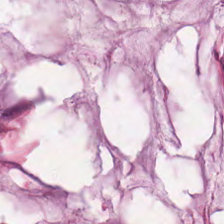H&E-stained tissue section.
This patch shows mucus.
